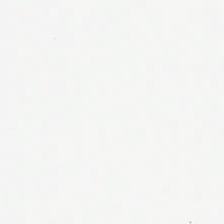Q: Classify this patch.
A: The field shows background.
